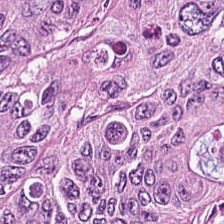This patch shows colorectal adenocarcinoma.
